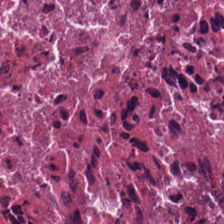H&E-stained tissue section · 224×224 px patch.
The classification is cellular debris.
